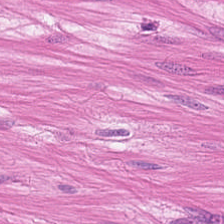224×224 px patch · H&E — Showing smooth muscle.
